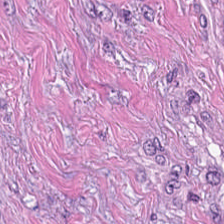H&E. Whole-slide-image patch.
This field is desmoplastic stroma.
